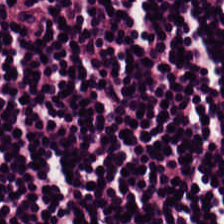H&E-stained tissue section · 0.5 microns per pixel. Showing lymphocytic infiltrate.
